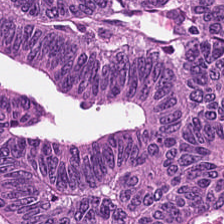0.5 microns per pixel · H&E stain · FFPE. Impression — colorectal adenocarcinoma.
